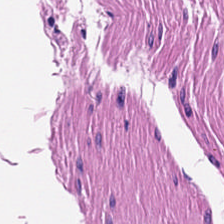H&E-stained tissue section — Tissue: smooth-muscle tissue.
